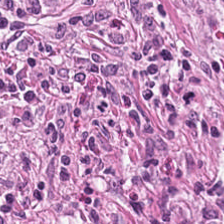Classification = tumor-associated stroma.
